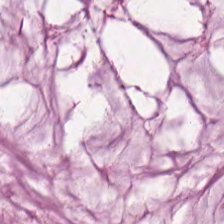Brightfield · H&E. The tissue type is extracellular mucin.
